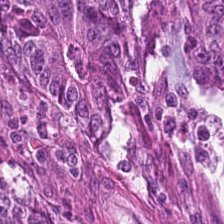The tissue class is tumor epithelium.
